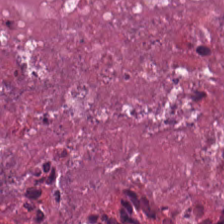20× equivalent magnification. Hematoxylin-and-eosin stained section. Brightfield. Q: Identify the tissue.
A: The field shows cellular debris.
